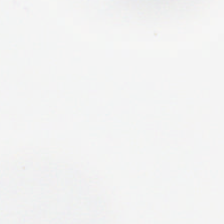224×224 px patch · hematoxylin and eosin.
Content: empty background.
